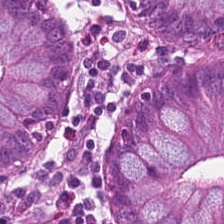H&E-stained tissue section · 224×224 pixel tile.
Classification — normal colonic mucosa.
